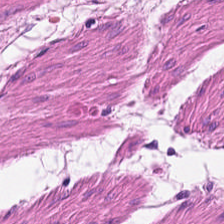Classification = smooth muscle.
